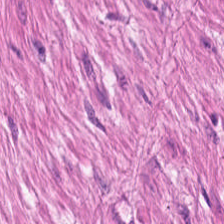Tissue type: smooth-muscle tissue.
